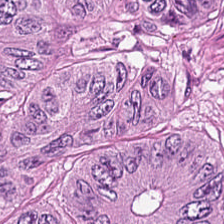0.5 µm/px; H&E; brightfield microscopy.
Impression — colorectal adenocarcinoma epithelium.
